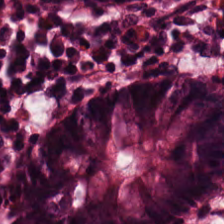Stain: H&E-stained tissue section.
Predominant tissue: normal colonic mucosa.
